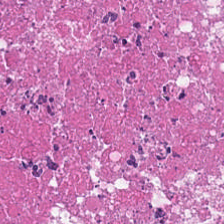H&E stain.
This patch shows cellular debris.
